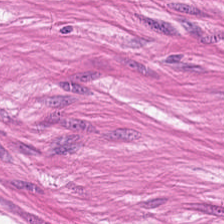H&E-stained tissue section; 224×224 px patch. {"tissue_type": "smooth-muscle tissue"}
